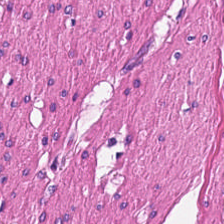H&E — This field is smooth muscle.
